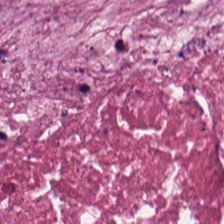FFPE tissue section · hematoxylin-and-eosin stained section. Finding — cellular debris.
